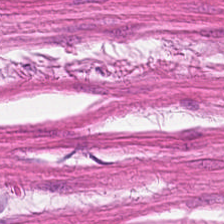H&E; FFPE.
Smooth-muscle tissue.
